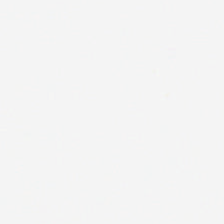Field content: background.
